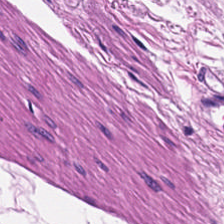Tissue class: smooth muscle.
